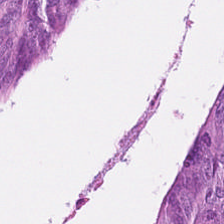Whole-slide-image patch · H&E-stained tissue section · 224×224 px patch — This patch shows malignant epithelium.
